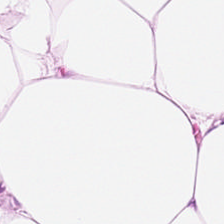224×224 px patch; hematoxylin and eosin. Tissue: adipose.
